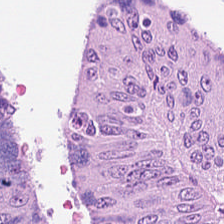H&E stain — Showing colorectal adenocarcinoma epithelium.
